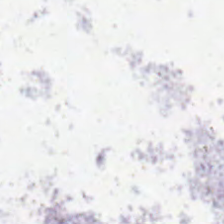Background — no tissue in this field.
